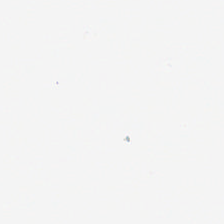H&E. 0.5 microns per pixel — This patch shows background (no tissue).
